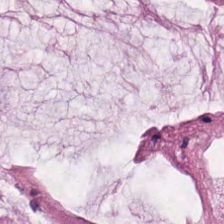H&E-stained tissue section. The predominant tissue is mucin.
